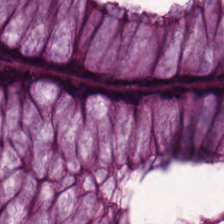Stain: hematoxylin and eosin.
Resolution: 0.5 µm/px.
Preparation: FFPE.
Tissue type: normal colonic mucosa.
